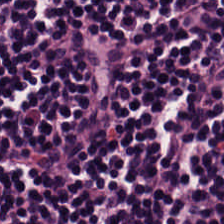H&E stain — The tissue class is lymphocytes.
